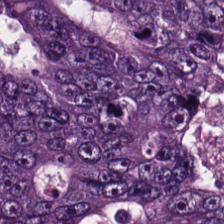H&E-stained tissue section · 0.5 µm per pixel — Showing adenocarcinoma.
